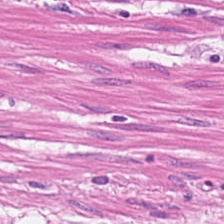Impression — muscularis.
